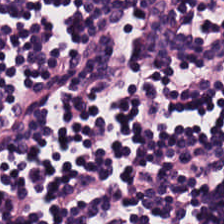Stain: hematoxylin-and-eosin stained section.
Tissue class: lymphocyte aggregate.
